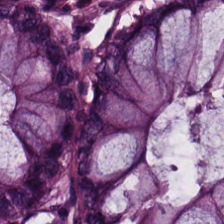Q: What is shown here?
A: This is normal colonic mucosa.
